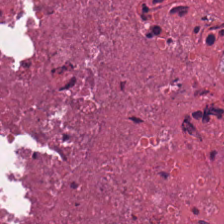Classification — debris.
